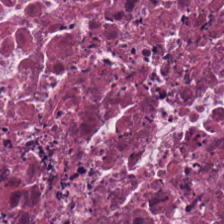Whole-slide-image patch · hematoxylin-and-eosin stained section. Tissue = necrotic debris.
